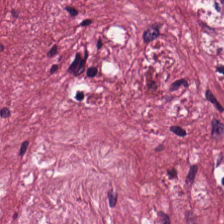H&E-stained tissue section. Tumor-associated stroma.
